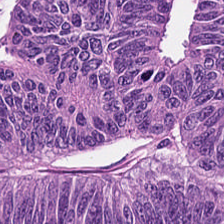H&E stain. Showing malignant epithelium.
